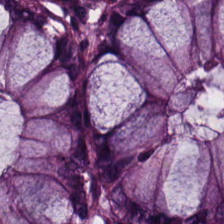H&E — Showing normal colon mucosa.
